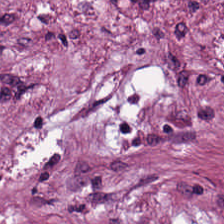H&E stain.
Q: What tissue type is shown here?
A: It is tumor-associated stroma.
